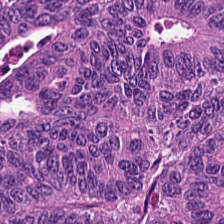This patch shows adenocarcinoma.
